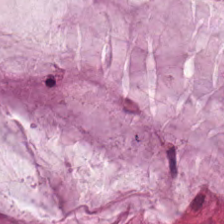H&E; 20× equivalent magnification — Finding — mucin.
